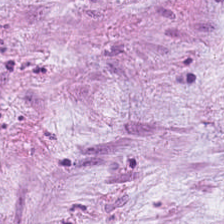H&E — mucus.
